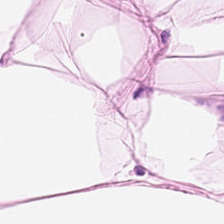WSI patch. H&E-stained tissue section — The predominant tissue is adipocytes.
